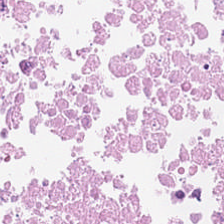WSI patch. Hematoxylin-and-eosin stained section. Formalin-fixed paraffin-embedded section. Classification: necrotic debris.
